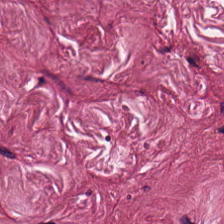H&E.
Predominant tissue: cancer-associated stroma.
